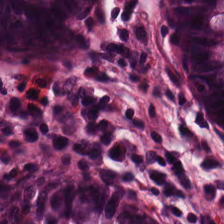H&E. 0.5 µm per pixel. 224×224 pixel tile. The predominant tissue is normal colonic mucosa.
